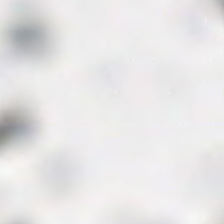{"content": "background"}
